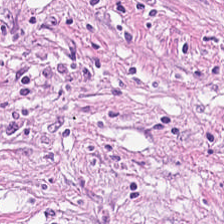H&E-stained tissue section; 0.5 µm per pixel; 224×224 px patch. Finding → desmoplastic stroma.
